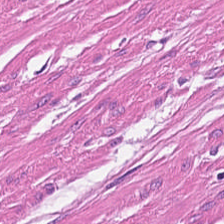FFPE · H&E-stained tissue section. Q: What type of tissue is this?
A: This is smooth muscle.
